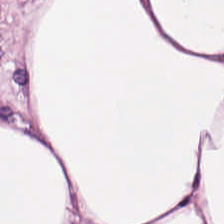The predominant tissue is adipocytes.
